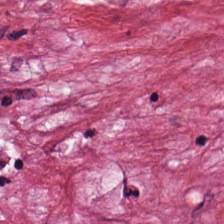Tissue = tumor stroma.
